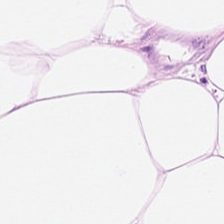WSI patch · H&E-stained tissue section — {"tissue_type": "adipocytes"}
